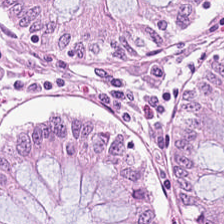H&E-stained tissue section. Tissue class = normal colon mucosa.
